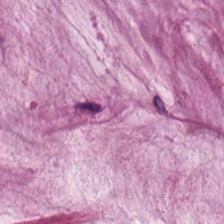Tissue type = mucus.
